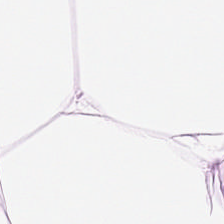FFPE. Hematoxylin and eosin.
The tissue type is adipose tissue.
